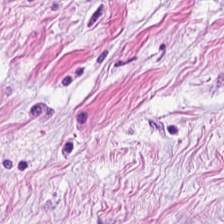H&E stain. The predominant tissue is tumor stroma.
